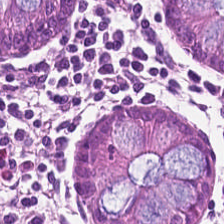20× equivalent magnification · H&E — Q: Identify the tissue.
A: The field shows normal colon mucosa.
